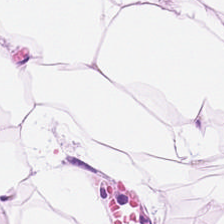H&E. {"tissue_type": "adipose tissue"}
